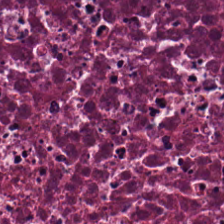H&E.
Q: Classify this patch.
A: This is cellular debris.
